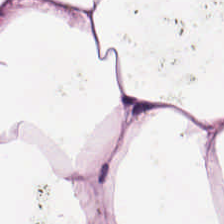Hematoxylin and eosin.
Finding — fat tissue.
